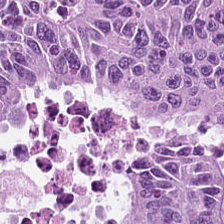Hematoxylin and eosin. Predominant tissue = malignant epithelium.
